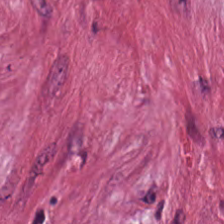Hematoxylin and eosin. Histology → tumor stroma.
